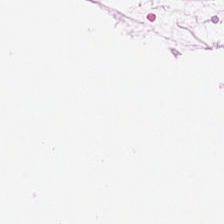H&E-stained tissue section — Classification = adipocytes.
